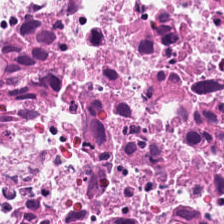H&E stain · 224×224 px patch · FFPE. Showing cellular debris.
